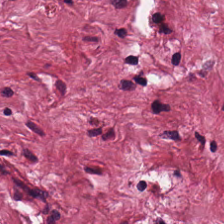Brightfield microscopy · H&E stain — Classification: tumor-associated stroma.
